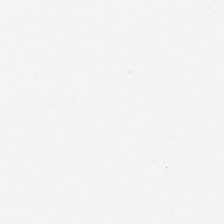Q: What does this patch show?
A: It is background.
